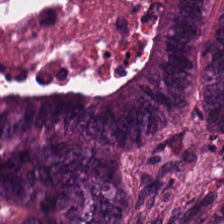Brightfield microscopy · H&E stain · 224×224 px tile. Showing colorectal adenocarcinoma epithelium.
